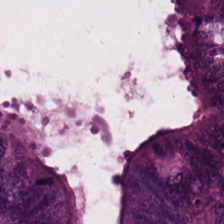H&E stain — The predominant tissue is colorectal adenocarcinoma epithelium.
